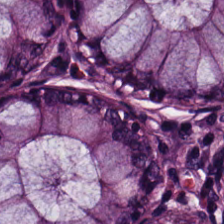Benign colonic mucosa.
